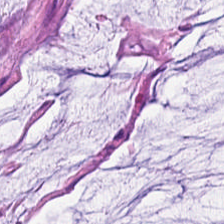FFPE; H&E; 224×224 pixel tile — Q: What is shown in this field?
A: It is mucus.
